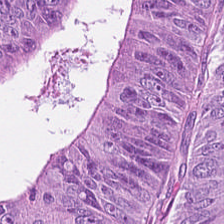WSI patch. 0.5 µm per pixel. H&E-stained tissue section.
Adenocarcinoma.
